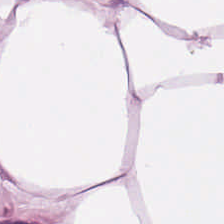Showing fat tissue.
